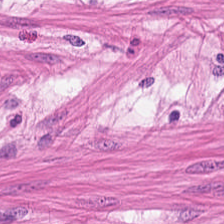Predominantly smooth-muscle tissue.
